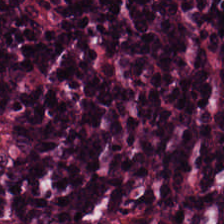H&E stain. Histology — lymphocytic infiltrate.
